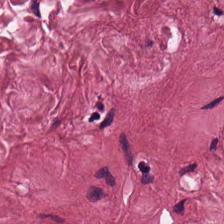Hematoxylin and eosin.
Predominant tissue — tumor-associated stroma.
